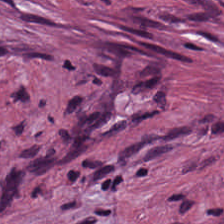0.5 µm per pixel. Hematoxylin and eosin — The tissue is tumor stroma.
